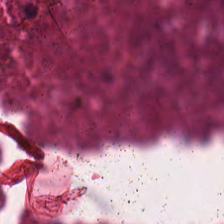Hematoxylin and eosin. The predominant tissue is cellular debris.
